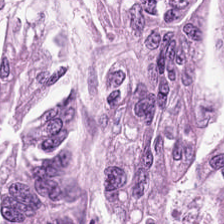H&E stain. Predominant tissue = colorectal adenocarcinoma epithelium.
